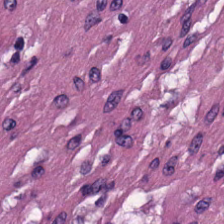Hematoxylin and eosin · 224×224 px tile.
{"tissue_type": "muscularis"}
